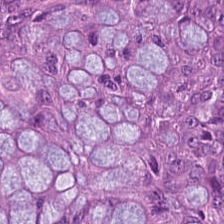This field is colorectal adenocarcinoma epithelium.
